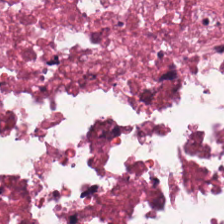H&E stain; 20× equivalent magnification. Classification = cellular debris.
